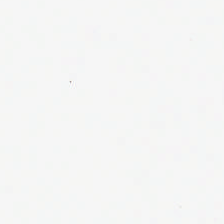FFPE tissue section; H&E stain; 0.5 µm/px.
This patch shows no tissue.
